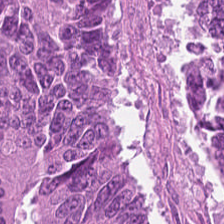Stain: hematoxylin-and-eosin stained section.
Preparation: FFPE.
Resolution: 0.5 microns per pixel.
Tissue class: colorectal adenocarcinoma epithelium.
